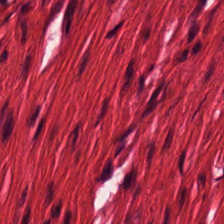Stain: hematoxylin and eosin.
Classification: smooth muscle.
